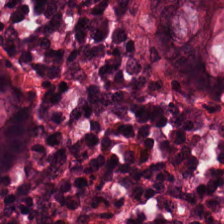Normal colonic mucosa.
